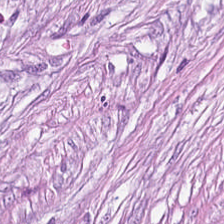224×224 px tile; hematoxylin-and-eosin stained section — Histology → tumor stroma.
